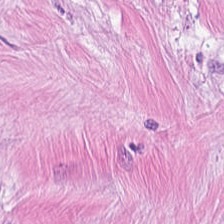Hematoxylin and eosin. Q: Identify the tissue.
A: The field shows cancer-associated stroma.
